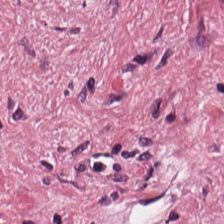H&E-stained tissue section.
The predominant tissue is tumor stroma.
